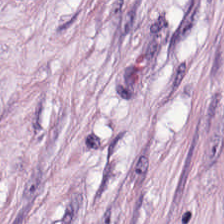H&E stain — Showing tumor-associated stroma.
